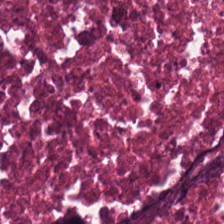Hematoxylin and eosin — This patch shows debris.
